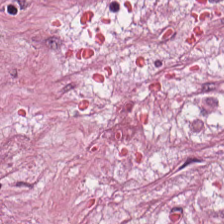{"tissue_type": "desmoplastic stroma"}
